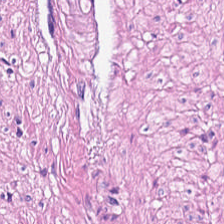Whole-slide-image patch · hematoxylin-and-eosin stained section — This field is muscularis.
